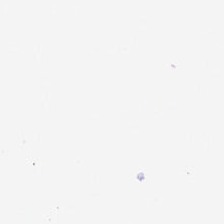Empty field — empty background.
